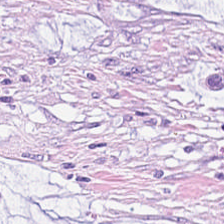The tissue here is mucus.
